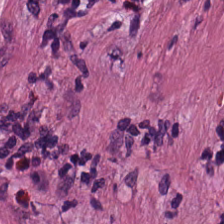This patch shows tumor stroma.
